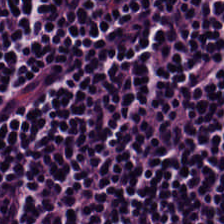H&E-stained tissue section. Q: Identify the tissue.
A: Lymphocytic infiltrate.
